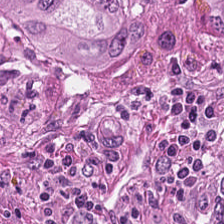Brightfield · hematoxylin-and-eosin stained section. Tissue type: tumor epithelium.
